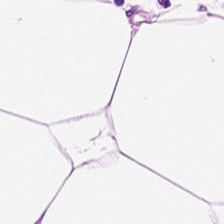Q: Identify the tissue.
A: Fat tissue.
